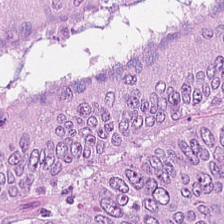Showing adenocarcinoma.
